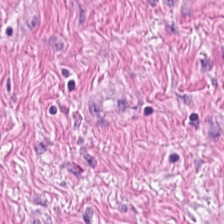FFPE. 224×224 px tile. H&E-stained tissue section. Q: What is shown here?
A: It is smooth muscle.
